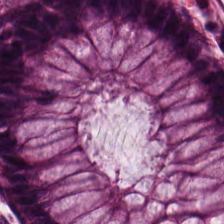H&E-stained tissue section showing non-neoplastic colon mucosa.
